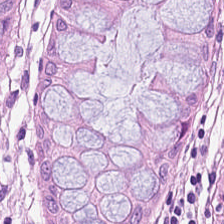20× equivalent magnification · hematoxylin-and-eosin stained section · 224×224 px patch.
Q: What is shown in this field?
A: This is non-neoplastic colon mucosa.
